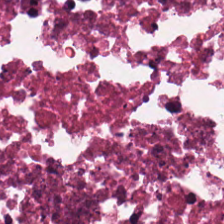This patch shows cellular debris.
